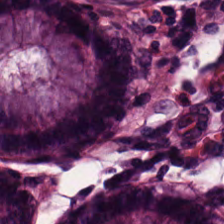224×224 px patch · 0.5 microns per pixel · hematoxylin-and-eosin stained section.
Tissue type = benign colonic mucosa.
